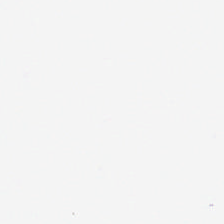Background — no tissue in this field.
